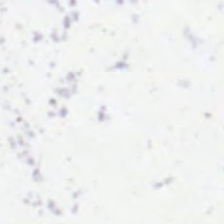Stain: H&E stain.
Tile size: 224×224 px tile.
Preparation: formalin-fixed paraffin-embedded section.
Content: background (no tissue).
